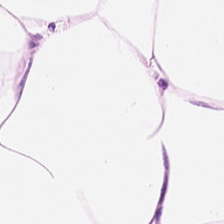H&E — Impression → adipocytes.
